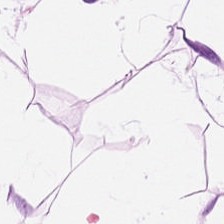H&E-stained tissue section. The tissue is adipose.
